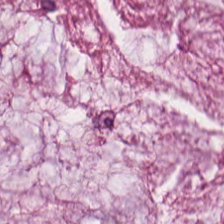H&E. The tissue here is mucin.
